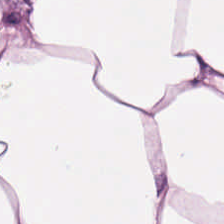H&E.
The tissue here is adipocytes.
